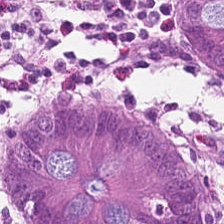Classification: normal colon mucosa.
